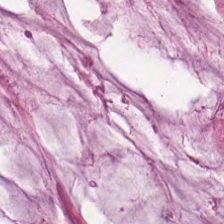H&E · 0.5 µm/px. Q: What does this patch show?
A: Extracellular mucin.
